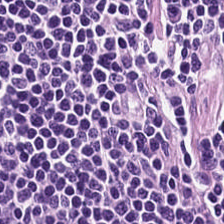The predominant tissue is lymphoid infiltrate.
